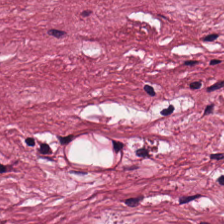H&E stain.
This field is tumor-associated stroma.
